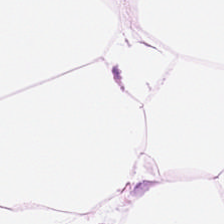H&E-stained tissue section. Predominant tissue — adipose.
